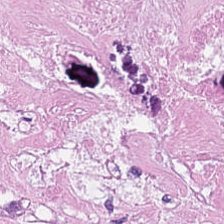H&E.
Predominantly cellular debris.
